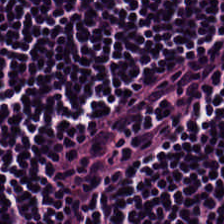H&E stain — This patch shows lymphoid infiltrate.
